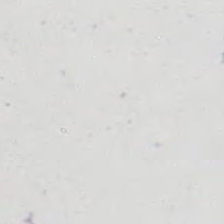This field is background (no tissue).
